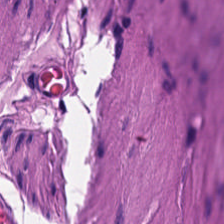H&E stain · formalin-fixed paraffin-embedded section. This field is smooth-muscle tissue.
